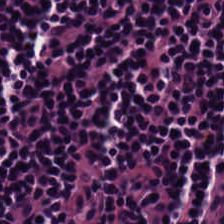H&E — The tissue is lymphoid infiltrate.
